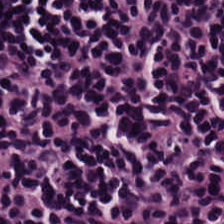H&E. 224×224 pixel tile. Lymphocytes.
